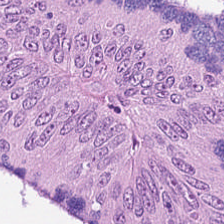H&E-stained tissue section. Tissue: tumor epithelium.
